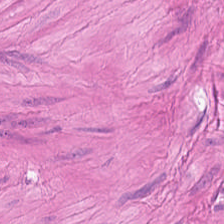Brightfield. H&E-stained tissue section — Predominantly smooth-muscle tissue.
